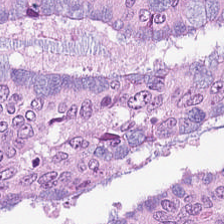Brightfield microscopy; H&E; 0.5 microns per pixel.
The tissue class is colorectal adenocarcinoma epithelium.
